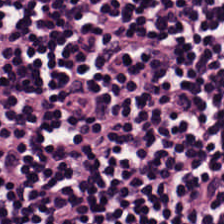Brightfield · hematoxylin and eosin · 0.5 microns per pixel. Q: Classify this patch.
A: Lymphocytic infiltrate.
